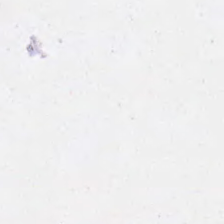Stain: hematoxylin and eosin.
Content: empty background.
